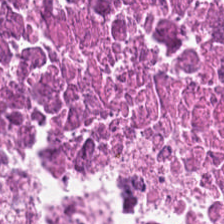Hematoxylin-and-eosin stained section. Q: What does this patch show?
A: Necrotic debris.
